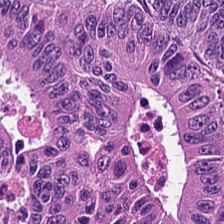224×224 px tile; hematoxylin and eosin.
The predominant tissue is malignant epithelium.
